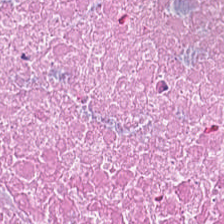H&E-stained tissue section · brightfield · FFPE — The tissue here is cellular debris.
